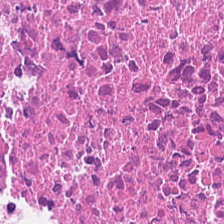Stain: hematoxylin-and-eosin stained section.
Tissue class: debris.
